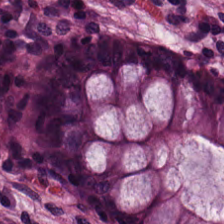224×224 px tile; hematoxylin-and-eosin stained section. Tissue — benign colonic mucosa.
